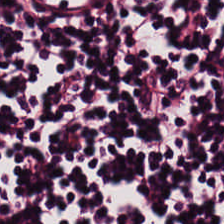Hematoxylin and eosin · 0.5 µm/px. Tissue class = lymphocytes.
